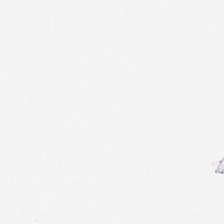Hematoxylin-and-eosin stained section; WSI patch.
No tissue present; background only.
